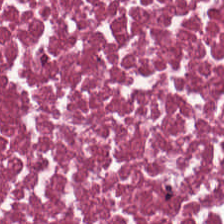Stain: hematoxylin-and-eosin stained section.
Resolution: 0.5 µm per pixel.
Preparation: formalin-fixed paraffin-embedded section.
Tissue: cellular debris.
